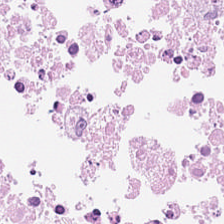0.5 microns per pixel; H&E-stained tissue section; FFPE tissue section.
Showing debris.
